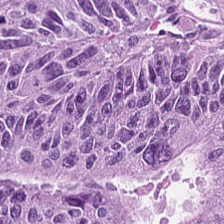The predominant tissue is tumor epithelium.
